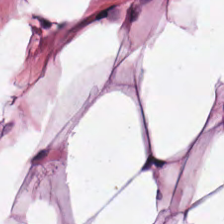H&E-stained tissue section — This field is adipose.
